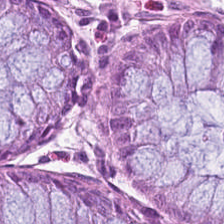Hematoxylin and eosin — The predominant tissue is non-neoplastic colon mucosa.
